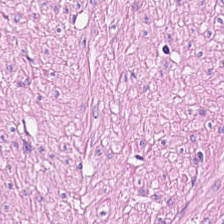Whole-slide-image patch. H&E-stained tissue section — Tissue class — smooth-muscle tissue.
